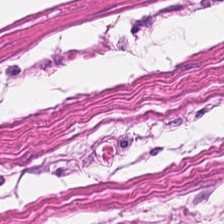Q: Identify the tissue.
A: Smooth muscle.
